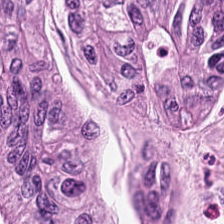H&E. Predominantly colorectal adenocarcinoma epithelium.
